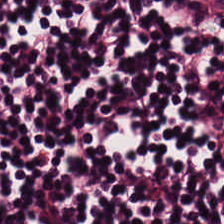224×224 px tile · H&E — The tissue type is lymphocyte aggregate.
